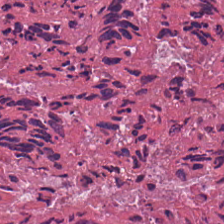H&E stain.
The tissue here is debris.
